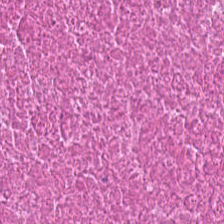H&E-stained tissue section.
Q: What type of tissue is this?
A: Necrotic debris.
